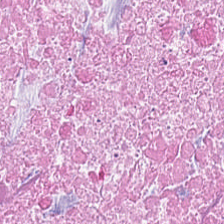H&E stain · 224×224 pixel tile.
Tissue type = necrotic debris.
